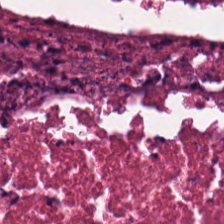20× equivalent magnification; H&E-stained tissue section — {"tissue_type": "cellular debris"}
